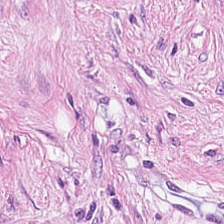Stain: hematoxylin-and-eosin stained section.
Tissue: cancer-associated stroma.
